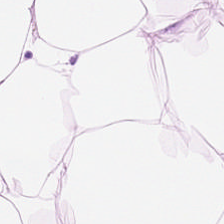20× equivalent magnification; formalin-fixed paraffin-embedded section; H&E-stained tissue section. Finding — adipose tissue.
